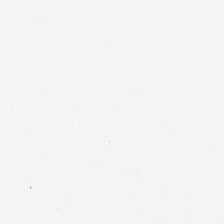Stain: hematoxylin and eosin.
Classification: empty background.
